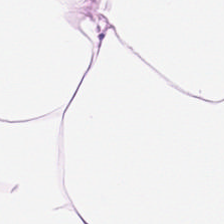Classification = adipose.
